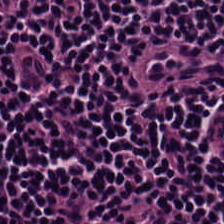Hematoxylin and eosin. The tissue here is lymphocytic infiltrate.
